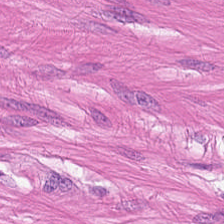20× equivalent magnification. H&E — Finding — smooth muscle.
